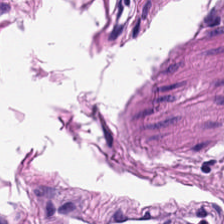Q: What does this patch show?
A: It is muscularis.
